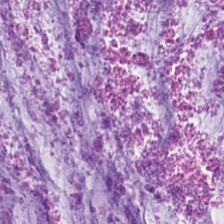H&E-stained tissue section — Tissue — mucin.
